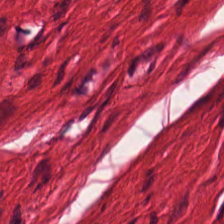H&E-stained tissue section · 224×224 pixel tile — Tissue class — smooth muscle.
